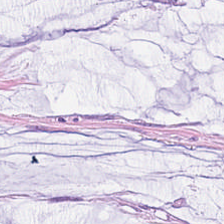H&E. Classification — mucin.
